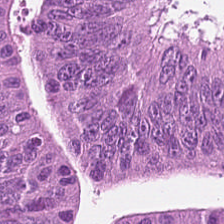Stain: hematoxylin-and-eosin stained section.
Predominant tissue: adenocarcinoma.
